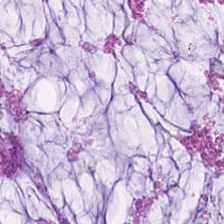H&E stain. Predominant tissue = mucus.
